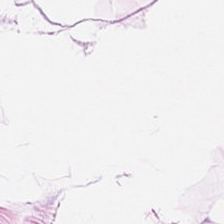20× equivalent magnification. Hematoxylin-and-eosin stained section.
This patch shows fat tissue.
